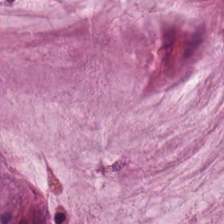H&E stain.
Tissue: mucin.
